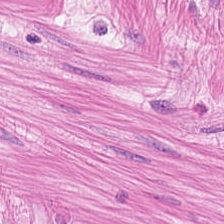H&E-stained tissue section; 224×224 pixel tile; 20× equivalent magnification. Q: What does this patch show?
A: This is smooth-muscle tissue.
